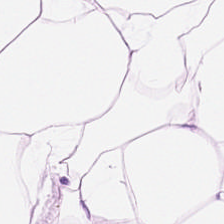Predominant tissue: adipose.
